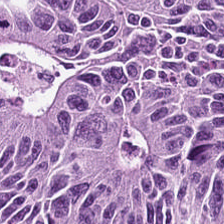Hematoxylin-and-eosin stained section.
Tissue — tumor epithelium.
